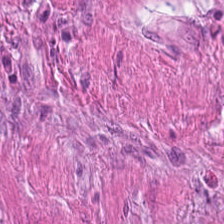0.5 µm/px · H&E · brightfield. This patch shows smooth-muscle tissue.
